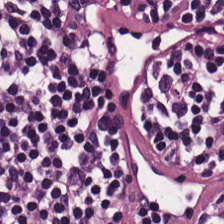H&E stain.
The tissue is lymphocyte aggregate.
